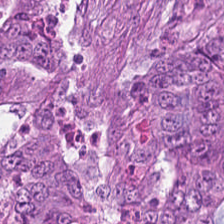H&E-stained tissue section. Predominant tissue = malignant epithelium.
